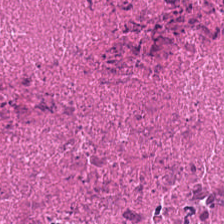Showing necrotic debris.
